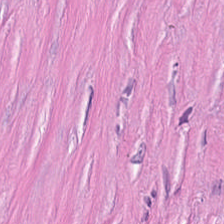Brightfield; hematoxylin and eosin; FFPE.
Q: What is the predominant tissue type?
A: This is tumor stroma.
